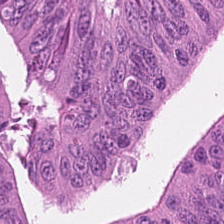Formalin-fixed paraffin-embedded section; hematoxylin-and-eosin stained section; 224×224 px tile.
Q: What tissue is shown?
A: Adenocarcinoma.
